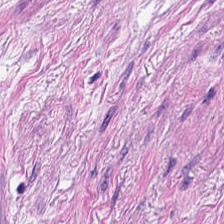Hematoxylin-and-eosin stained section · 20× equivalent magnification · 224×224 pixel tile. This patch shows muscularis.
